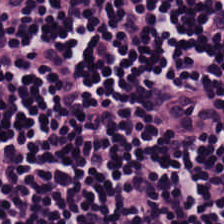H&E-stained tissue section. Showing lymphocyte aggregate.
